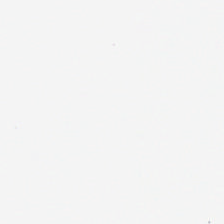224×224 px tile · H&E stain — This patch shows background.
